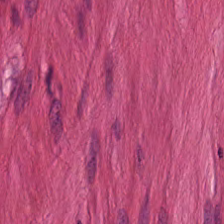224×224 px tile · H&E-stained tissue section · FFPE tissue section. The tissue is smooth-muscle tissue.
